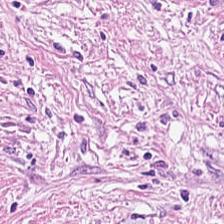H&E.
Showing cancer-associated stroma.
